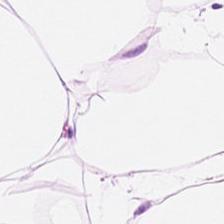The tissue class is fat tissue.
